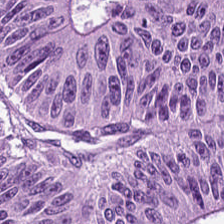Q: What is shown here?
A: This is malignant epithelium.
